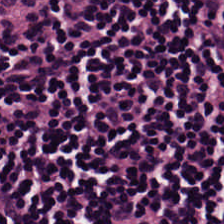Hematoxylin-and-eosin stained section · 20× equivalent magnification — Q: What type of tissue is this?
A: It is lymphocyte aggregate.
